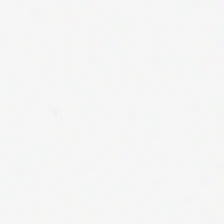H&E stain — Finding → empty background.
